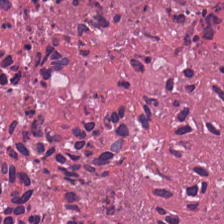H&E · brightfield.
Tissue class = cellular debris.
